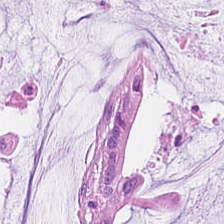Histology — mucus.
